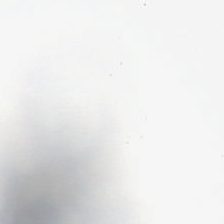H&E.
Impression — no tissue.
